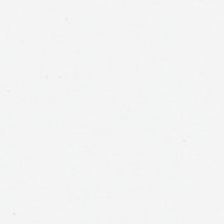H&E. This patch shows no tissue.
